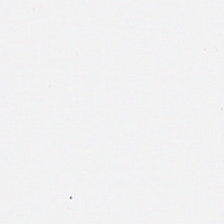Hematoxylin-and-eosin stained section.
Q: What does this patch show?
A: It is no tissue.
